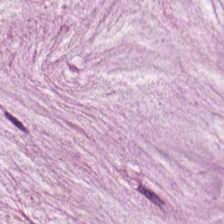Q: Identify the tissue.
A: This is extracellular mucin.
